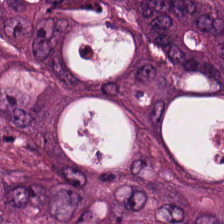Showing colorectal adenocarcinoma epithelium.
